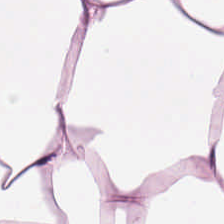Brightfield microscopy · H&E-stained tissue section — The tissue is adipose tissue.
